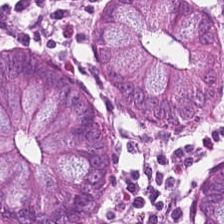20× equivalent magnification; hematoxylin-and-eosin stained section; whole-slide-image patch — Q: What tissue is shown?
A: Benign colonic mucosa.
